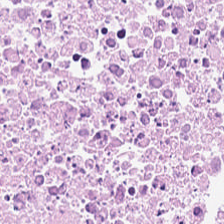H&E stain · 224×224 px patch. Histology → necrotic debris.
